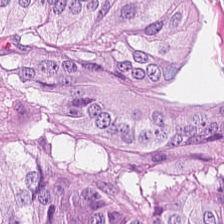224×224 px patch; H&E. This field is tumor epithelium.
